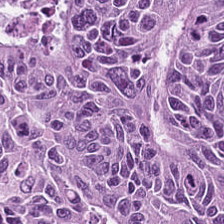FFPE tissue section · 224×224 px tile · hematoxylin-and-eosin stained section. The predominant tissue is colorectal adenocarcinoma.
